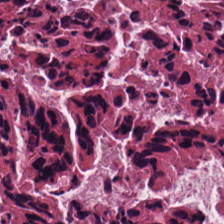H&E. The predominant tissue is debris.
